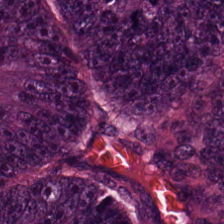H&E stain. 224×224 px patch.
The predominant tissue is malignant epithelium.
